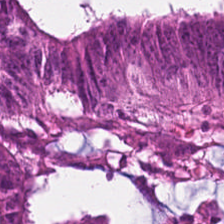H&E-stained tissue section — The tissue class is malignant epithelium.
